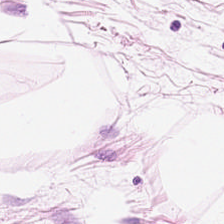Formalin-fixed paraffin-embedded section. Hematoxylin and eosin — Q: What tissue is shown?
A: This is adipose.
